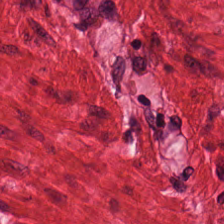Hematoxylin-and-eosin stained section. 0.5 microns per pixel — Q: Identify the tissue.
A: This is muscularis.
